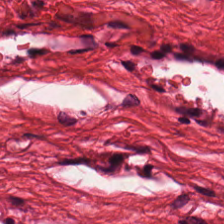Formalin-fixed paraffin-embedded section. Hematoxylin and eosin. Histology → smooth muscle.
